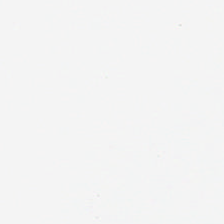Formalin-fixed paraffin-embedded section · H&E.
The classification is background (no tissue).
